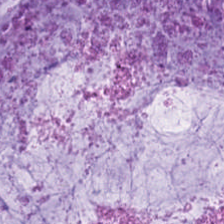The tissue here is mucus.
